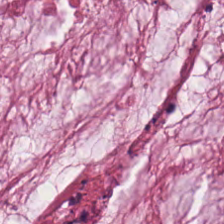Hematoxylin and eosin.
Mucus.
